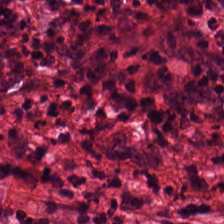Tissue type = desmoplastic stroma.
